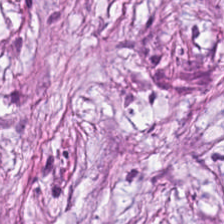Hematoxylin-and-eosin stained section; FFPE. Q: What type of tissue is this?
A: The field shows tumor stroma.
